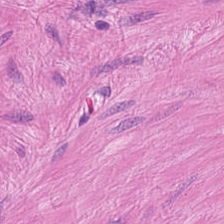H&E patch showing smooth muscle.
